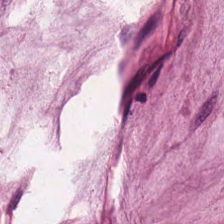Hematoxylin-and-eosin stained section. 224×224 px patch. Whole-slide-image patch.
Tissue class: extracellular mucin.
